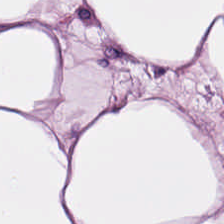The predominant tissue is adipose tissue.
